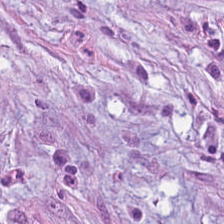Hematoxylin and eosin — Predominant tissue = tumor-associated stroma.
